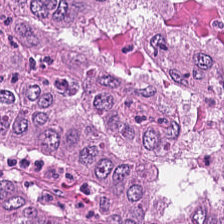Stain: H&E stain.
Preparation: FFPE.
Classification: adenocarcinoma.
